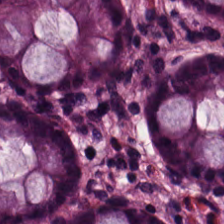Hematoxylin and eosin.
Classification: normal colonic mucosa.
